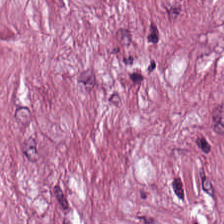0.5 µm/px; hematoxylin-and-eosin stained section; FFPE — This field is desmoplastic stroma.
